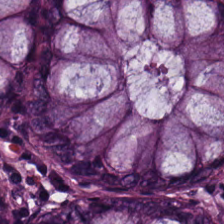H&E stain.
This patch shows normal colonic mucosa.
